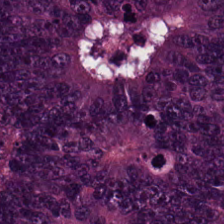224×224 px tile; hematoxylin-and-eosin stained section.
The tissue class is malignant epithelium.
